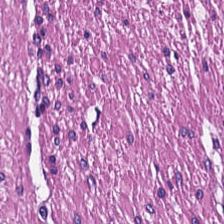H&E stain — Muscularis.
